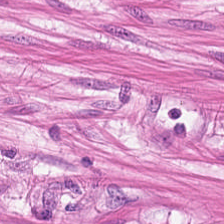Hematoxylin and eosin.
This field is muscularis.
